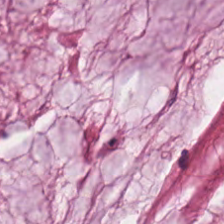H&E stain. The predominant tissue is mucus.
